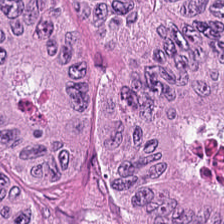Hematoxylin and eosin. Q: What is shown here?
A: The field shows colorectal adenocarcinoma epithelium.
